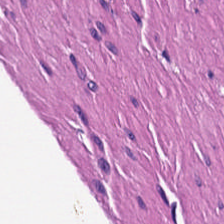Hematoxylin and eosin · brightfield microscopy — Impression → muscularis.
